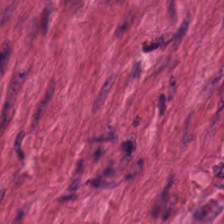Hematoxylin-and-eosin stained section.
Showing smooth-muscle tissue.
